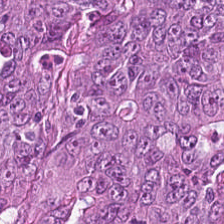FFPE · hematoxylin and eosin. {"tissue_type": "malignant epithelium"}
